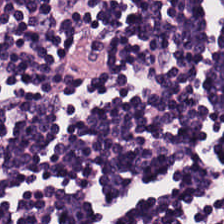H&E stain. Tissue class = lymphoid infiltrate.
